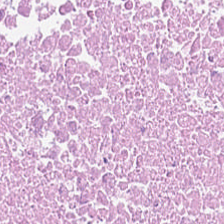H&E. Q: What does this patch show?
A: This is debris.
